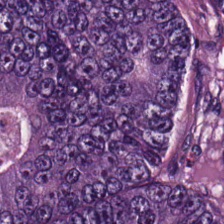H&E patch showing colorectal adenocarcinoma epithelium.
